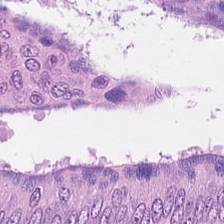H&E-stained tissue section · 0.5 µm/px · FFPE. Showing adenocarcinoma.
